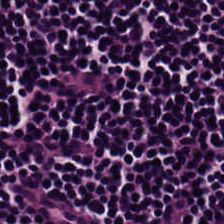H&E. The tissue here is lymphocytic infiltrate.
